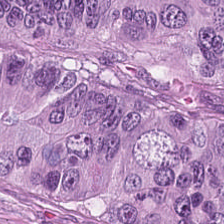Hematoxylin and eosin. Formalin-fixed paraffin-embedded section. Whole-slide-image patch — This field is tumor epithelium.
